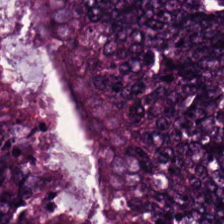Hematoxylin and eosin; brightfield — The tissue type is tumor epithelium.
